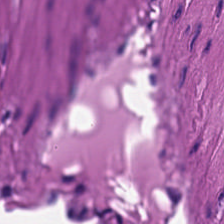Stain: H&E stain.
Tissue type: smooth muscle.
